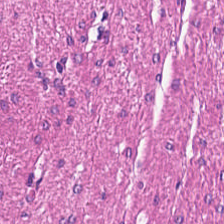H&E.
The predominant tissue is muscularis.
